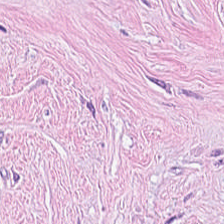H&E. Brightfield microscopy. Formalin-fixed paraffin-embedded section — Predominantly desmoplastic stroma.
